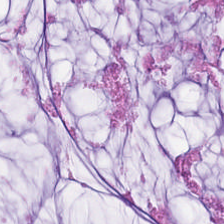H&E-stained tissue section; formalin-fixed paraffin-embedded section. The tissue here is extracellular mucin.
